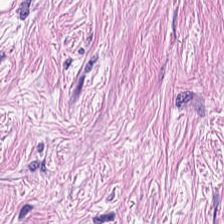Stain: H&E stain.
Tissue: tumor stroma.
